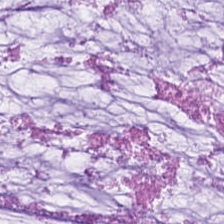FFPE tissue section · H&E stain — Tissue: mucin.
